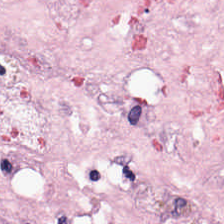H&E stain; 20× equivalent magnification; 224×224 px tile. Classification = cancer-associated stroma.
